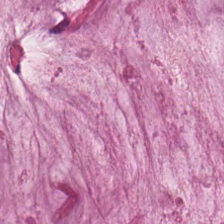Tissue class: mucin.
